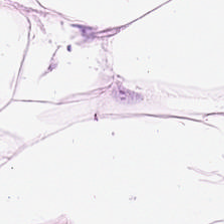Hematoxylin-and-eosin stained section.
The tissue type is adipose.
